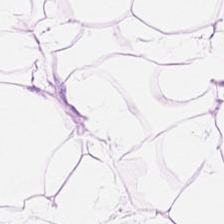H&E-stained tissue section · whole-slide-image patch · FFPE.
Adipocytes.
